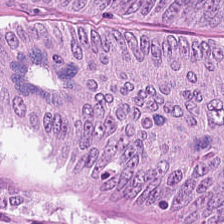FFPE tissue section. Hematoxylin-and-eosin stained section. 224×224 px patch. The tissue here is malignant epithelium.
